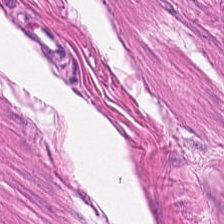The tissue here is muscularis.
